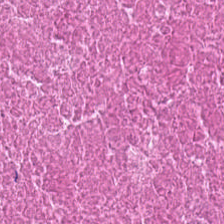Hematoxylin-and-eosin stained section. The tissue here is cellular debris.
